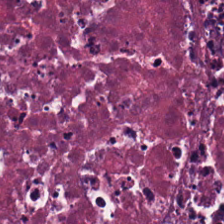H&E — Classification — necrotic debris.
